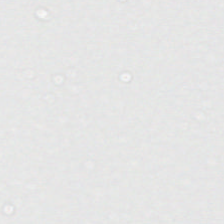Hematoxylin-and-eosin stained section.
Field content = no tissue.
